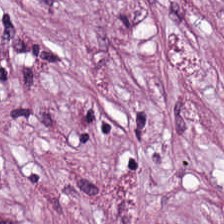Stain: H&E.
Tile size: 224×224 px tile.
Tissue: tumor-associated stroma.
